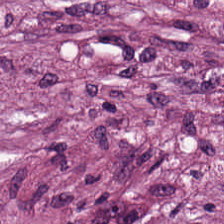Stain: hematoxylin and eosin.
Tissue type: tumor-associated stroma.
